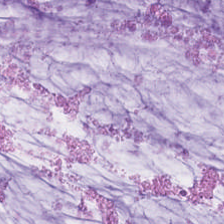0.5 µm per pixel; H&E; 224×224 px tile.
Q: What is the predominant tissue type?
A: Extracellular mucin.
